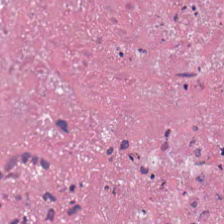20× equivalent magnification; H&E-stained tissue section — Tissue type — necrotic debris.
